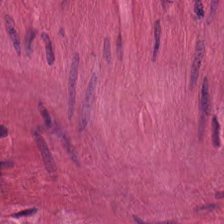Tissue = muscularis.
